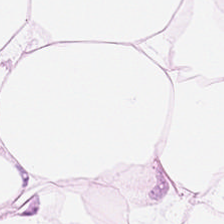Hematoxylin-and-eosin stained section; FFPE — Histology → fat tissue.
